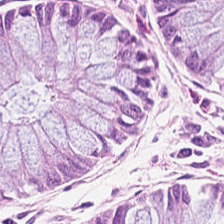H&E patch showing benign colonic mucosa.
